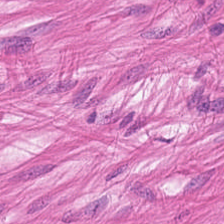Stain: hematoxylin and eosin.
Tile size: 224×224 px tile.
Tissue class: smooth-muscle tissue.
